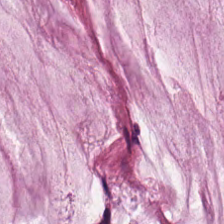Histology → mucus.
